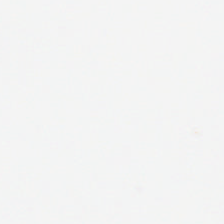H&E stain — Background — no tissue in this field.
